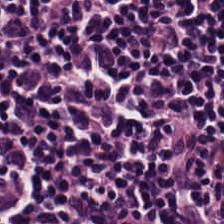Hematoxylin-and-eosin stained section.
Classification = lymphoid infiltrate.
